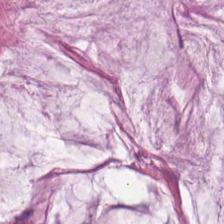H&E.
Mucus.
